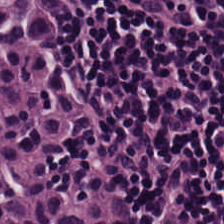WSI patch. Hematoxylin and eosin. FFPE.
Tissue type — lymphocytes.
